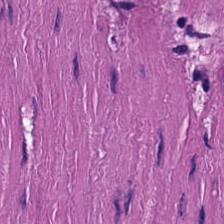H&E stain · brightfield microscopy.
Predominantly muscularis.
